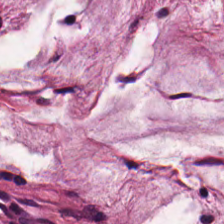Hematoxylin-and-eosin stained section. 20× equivalent magnification. Mucin.
